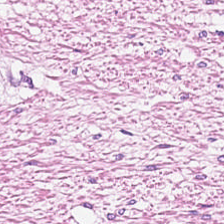Hematoxylin-and-eosin stained section — Classification: smooth muscle.
